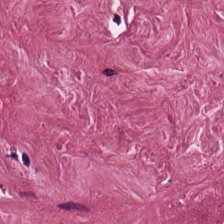Whole-slide-image patch. H&E stain — Q: What tissue is shown?
A: It is cancer-associated stroma.
